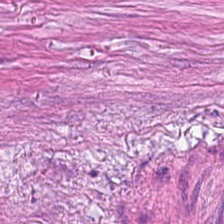H&E — desmoplastic stroma.
